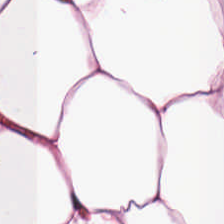Tissue type = adipocytes.
